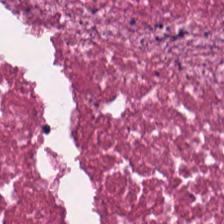H&E stain — Classification: cellular debris.
